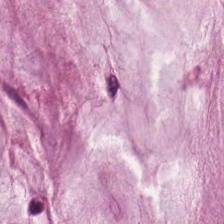Stain: H&E-stained tissue section.
Tissue type: mucus.
